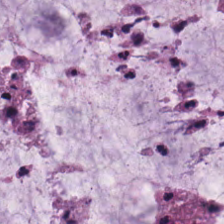Histology — extracellular mucin.
